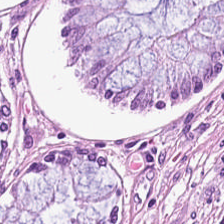WSI patch; hematoxylin and eosin; FFPE tissue section — The predominant tissue is benign colonic mucosa.
